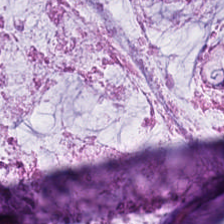H&E-stained tissue section — Q: Identify the tissue.
A: It is mucin.
